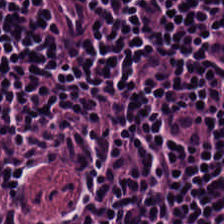0.5 µm/px · hematoxylin-and-eosin stained section · brightfield — Q: What tissue is shown?
A: The field shows lymphocytic infiltrate.
